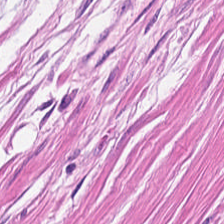H&E-stained tissue section; brightfield. Q: What is shown here?
A: This is smooth muscle.
